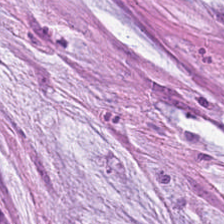H&E-stained tissue section. The tissue here is mucus.
